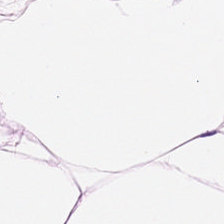H&E — adipocytes.
